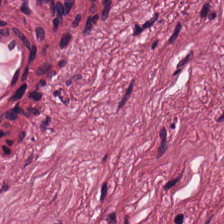The tissue here is tumor stroma.
